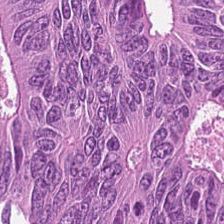WSI patch · H&E-stained tissue section — The predominant tissue is colorectal adenocarcinoma.
